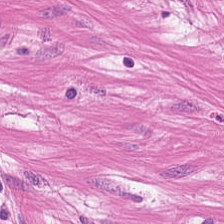Hematoxylin-and-eosin stained section — Predominantly smooth muscle.
